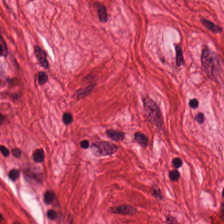H&E stain — The tissue is muscularis.
